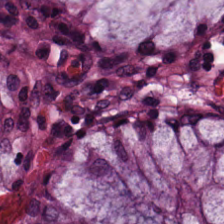Impression — normal colon mucosa.
